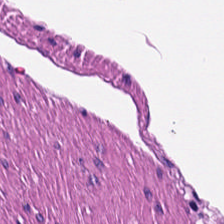224×224 px patch; hematoxylin and eosin. The tissue type is smooth-muscle tissue.
